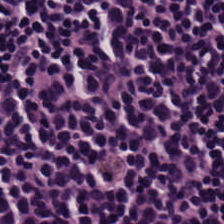H&E stain; 224×224 px patch; FFPE tissue section.
Predominant tissue — lymphoid infiltrate.
